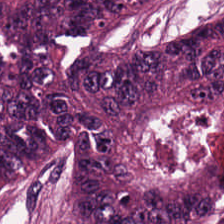Q: What does this patch show?
A: This is adenocarcinoma.
